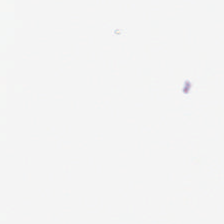Hematoxylin-and-eosin stained section — Q: Classify this patch.
A: Background.
